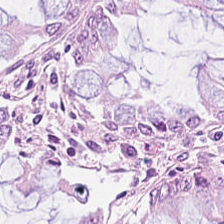H&E-stained tissue section; brightfield — Q: What is the predominant tissue type?
A: This is normal colon mucosa.
